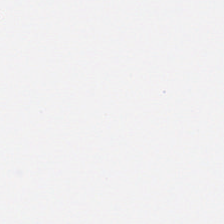FFPE; H&E stain — Content = empty background.
